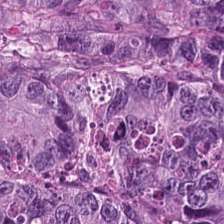Hematoxylin-and-eosin section: malignant epithelium.
